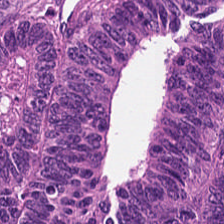224×224 pixel tile; H&E stain. Adenocarcinoma.
